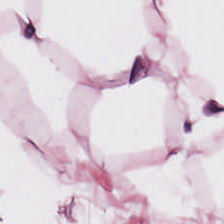H&E — adipose.
